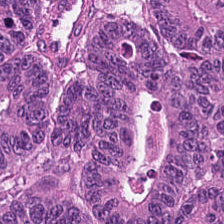Finding — tumor epithelium.
